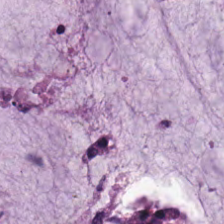H&E-stained tissue section.
The predominant tissue is mucus.
